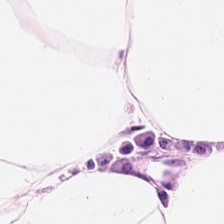Brightfield microscopy. H&E — The predominant tissue is adipose.
